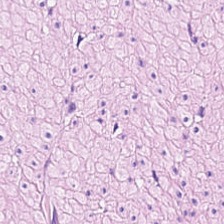Hematoxylin and eosin.
{"tissue_type": "smooth-muscle tissue"}
